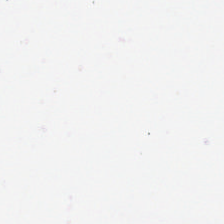H&E. Brightfield microscopy.
Empty field — empty background.
